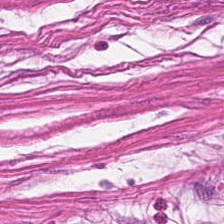Tissue: muscularis.
